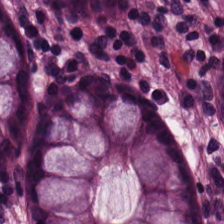Stain: H&E stain.
Tile size: 224×224 pixel tile.
Tissue: benign colonic mucosa.
